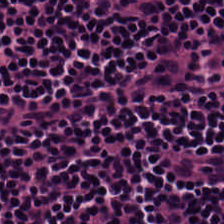Hematoxylin and eosin. The predominant tissue is lymphocytes.
